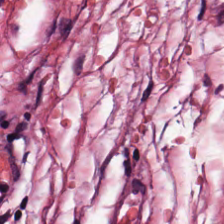H&E — This patch shows desmoplastic stroma.
